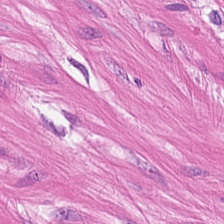Tissue type: smooth-muscle tissue.
